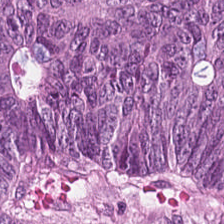H&E.
Predominantly adenocarcinoma.
